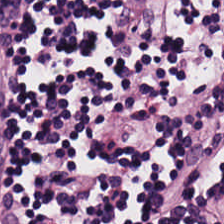Predominant tissue — lymphocyte aggregate.
